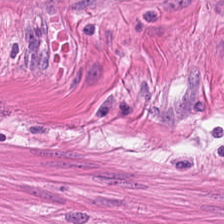224×224 px tile · hematoxylin-and-eosin stained section. Q: What type of tissue is this?
A: The field shows muscularis.
